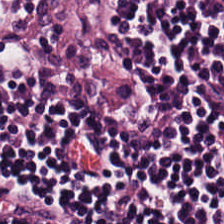Whole-slide-image patch; hematoxylin and eosin.
Finding — lymphocytic infiltrate.
